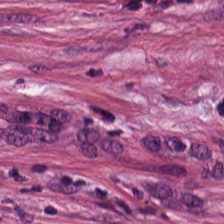H&E-stained tissue section. Formalin-fixed paraffin-embedded section. 224×224 px patch. Tissue class: desmoplastic stroma.
